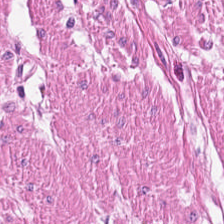Hematoxylin-and-eosin stained section.
Q: What does this patch show?
A: It is muscularis.
